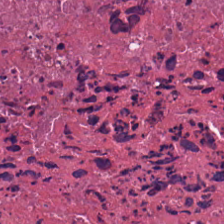H&E-stained tissue section. Histology — cellular debris.
